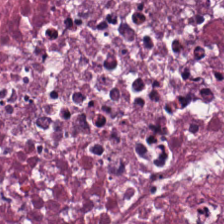224×224 px tile · hematoxylin-and-eosin stained section. Q: What type of tissue is this?
A: The field shows necrotic debris.
